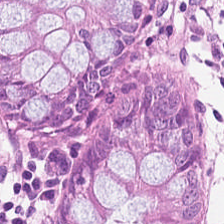Hematoxylin-and-eosin section: benign colonic mucosa.
